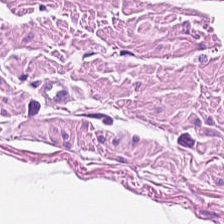Tissue = smooth muscle.
